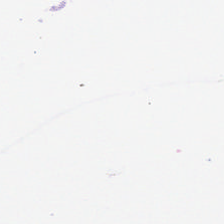Whole-slide-image patch; formalin-fixed paraffin-embedded section; H&E stain — No tissue present; background only.
